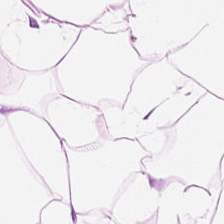0.5 microns per pixel. Hematoxylin-and-eosin stained section — The tissue here is adipose.
